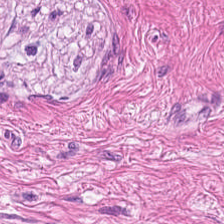224×224 px tile · hematoxylin and eosin — Finding → smooth muscle.
